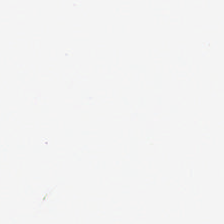Background — no tissue in this field.
